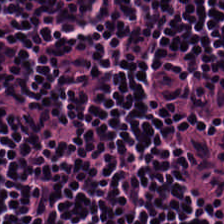Hematoxylin and eosin. 0.5 µm/px. WSI patch — Impression — lymphoid infiltrate.
